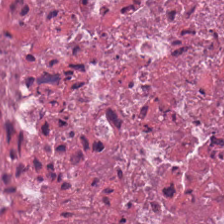Hematoxylin and eosin. Predominant tissue — cellular debris.
